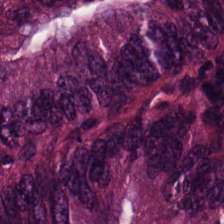Whole-slide-image patch · 224×224 px tile · hematoxylin and eosin.
Tissue type: colorectal adenocarcinoma.
